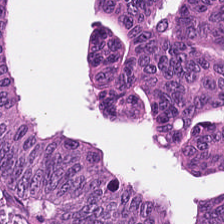H&E stain.
Colorectal adenocarcinoma epithelium.
